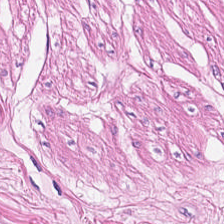H&E stain.
Predominant tissue: muscularis.
